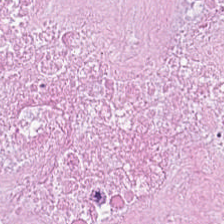Stain: hematoxylin-and-eosin stained section.
Classification: cellular debris.
